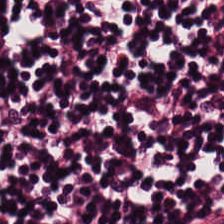Showing lymphoid infiltrate.
